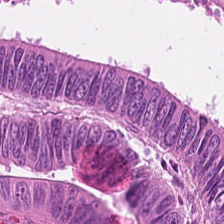20× equivalent magnification. Hematoxylin and eosin — Tissue = colorectal adenocarcinoma epithelium.
